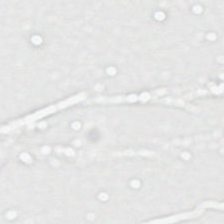0.5 µm per pixel; H&E stain; 224×224 pixel tile.
Histology — background (no tissue).
